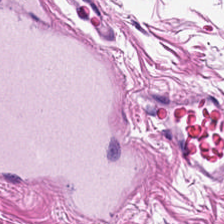Hematoxylin and eosin · brightfield microscopy — This patch shows smooth muscle.
